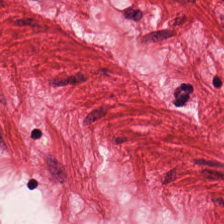H&E.
Classification: smooth-muscle tissue.
